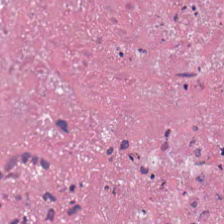Hematoxylin-and-eosin stained section. 224×224 px patch — Cellular debris.
